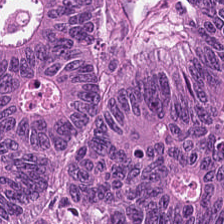Brightfield microscopy. Hematoxylin-and-eosin stained section.
The predominant tissue is colorectal adenocarcinoma.
